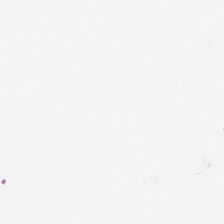Hematoxylin and eosin. Q: What does this patch show?
A: This is background (no tissue).
